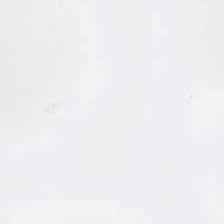H&E-stained tissue section. This field is background (no tissue).
